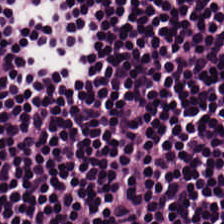Stain: H&E stain.
Preparation: formalin-fixed paraffin-embedded section.
Predominant tissue: lymphocyte aggregate.
